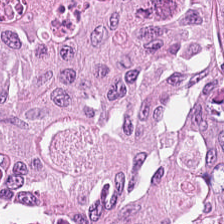Predominantly colorectal adenocarcinoma.
